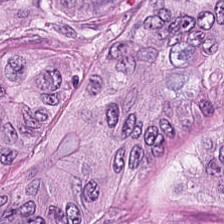FFPE tissue section · hematoxylin-and-eosin stained section.
{"tissue_type": "colorectal adenocarcinoma"}
